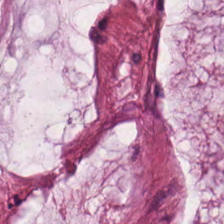H&E stain — {"tissue_type": "mucin"}
